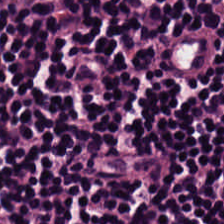H&E patch showing lymphocyte aggregate.
